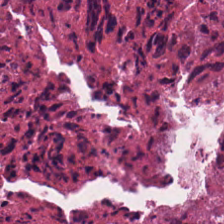H&E. Predominantly necrotic debris.
